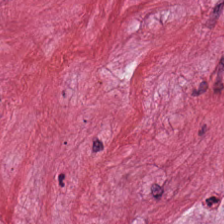Hematoxylin and eosin. The tissue type is desmoplastic stroma.
